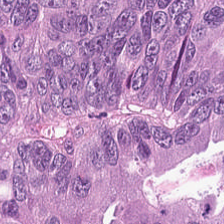Brightfield microscopy · 224×224 px tile · H&E.
Showing colorectal adenocarcinoma.
